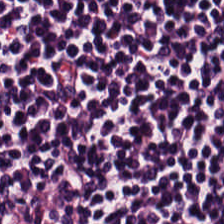Stain: H&E.
Tile size: 224×224 px tile.
Classification: lymphocytic infiltrate.
